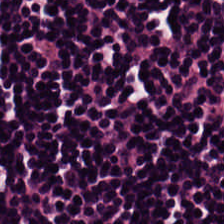H&E · 224×224 px tile.
Tissue = lymphocytic infiltrate.
